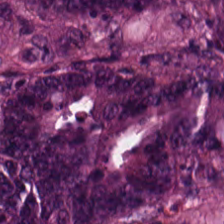Formalin-fixed paraffin-embedded section. Hematoxylin-and-eosin stained section — {"tissue_type": "malignant epithelium"}
